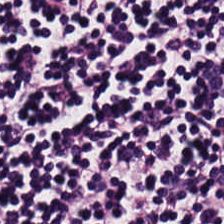Stain: H&E.
Resolution: 20× equivalent magnification.
Acquisition: brightfield microscopy.
Tissue: lymphoid infiltrate.
